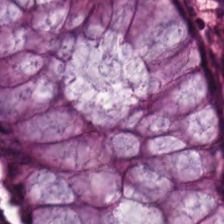Whole-slide-image patch. H&E stain. 20× equivalent magnification — The tissue here is normal colon mucosa.
